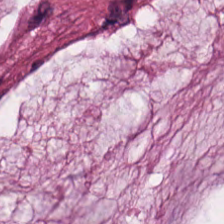H&E-stained tissue section.
Tissue — extracellular mucin.
